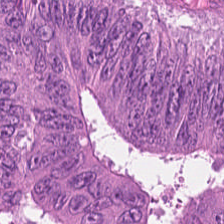Stain: hematoxylin-and-eosin stained section.
Preparation: FFPE tissue section.
Resolution: 20× equivalent magnification.
Predominant tissue: adenocarcinoma.
